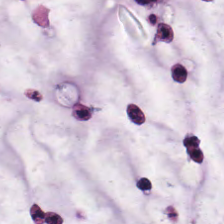Q: What is shown in this field?
A: It is mucin.
